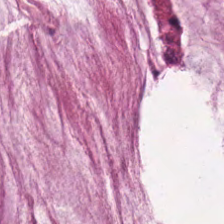H&E — The predominant tissue is extracellular mucin.
